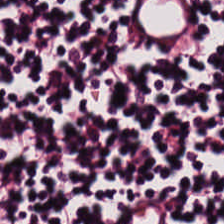Hematoxylin-and-eosin stained section — Q: What tissue is shown?
A: It is lymphoid infiltrate.
